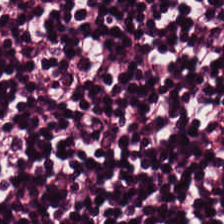Stain: H&E-stained tissue section.
Classification: lymphocytes.
